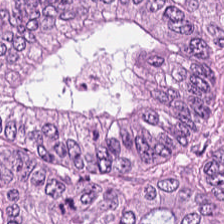Q: What is the predominant tissue type?
A: The field shows colorectal adenocarcinoma epithelium.
